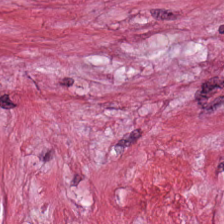H&E stain. 224×224 px patch.
Finding → tumor stroma.
